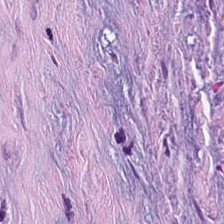H&E. Predominant tissue — desmoplastic stroma.
